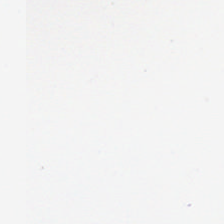H&E; 224×224 px patch — No tissue present; background only.
